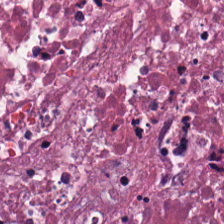H&E stain.
Finding → cellular debris.
